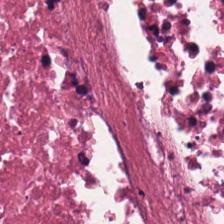Hematoxylin and eosin. 0.5 microns per pixel. The tissue here is cellular debris.
